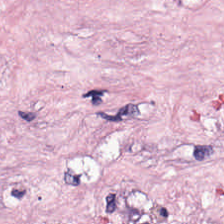Hematoxylin and eosin — Showing tumor-associated stroma.
